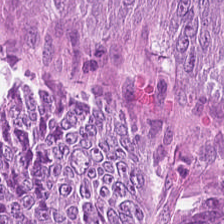Hematoxylin-and-eosin stained section.
Predominant tissue: colorectal adenocarcinoma.
